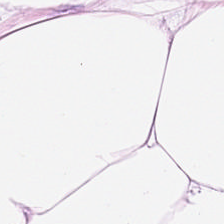H&E — adipose tissue.
